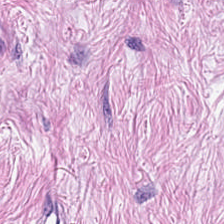Hematoxylin and eosin.
Q: What is the predominant tissue type?
A: This is desmoplastic stroma.
